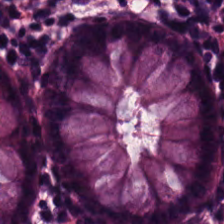Hematoxylin-and-eosin stained section.
The tissue class is non-neoplastic colon mucosa.
